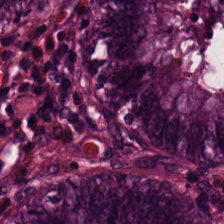Hematoxylin and eosin. FFPE tissue section. 224×224 pixel tile. Predominant tissue = non-neoplastic colon mucosa.
